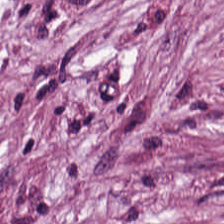Hematoxylin and eosin.
Tissue class = desmoplastic stroma.
